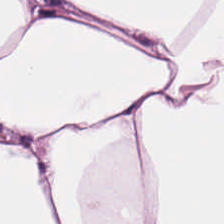Hematoxylin and eosin.
Classification — fat tissue.
